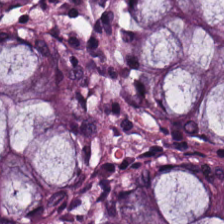FFPE tissue section · H&E-stained tissue section · 20× equivalent magnification.
Q: What does this patch show?
A: This is normal colon mucosa.
